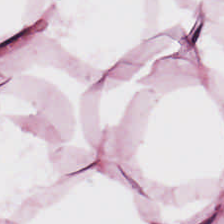Hematoxylin and eosin.
Impression — adipocytes.
